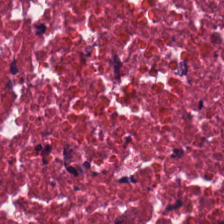H&E-stained tissue section — The tissue is necrotic debris.
